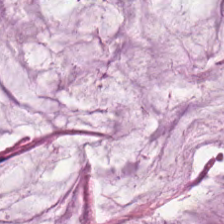H&E stain; 0.5 microns per pixel — This patch shows mucin.
